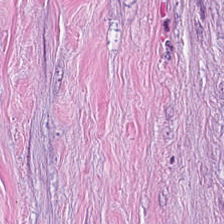H&E. WSI patch. 224×224 px tile.
Tissue class: tumor stroma.
